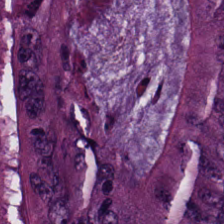FFPE tissue section. H&E — Q: What tissue is shown?
A: It is adenocarcinoma.
